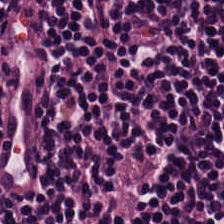Hematoxylin-and-eosin stained section. This patch shows lymphocyte aggregate.
